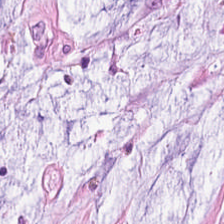The tissue is extracellular mucin.
